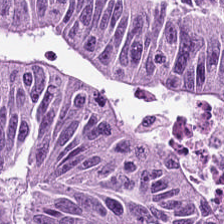WSI patch. H&E stain. Predominant tissue — adenocarcinoma.
